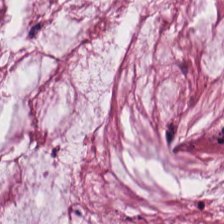Hematoxylin and eosin. FFPE tissue section. Q: Identify the tissue.
A: This is mucus.
